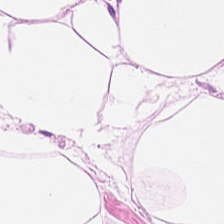Q: Classify this patch.
A: The field shows adipose tissue.
